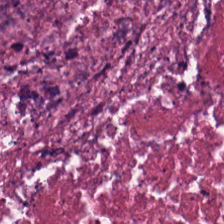H&E-stained tissue section showing debris.
